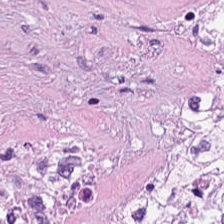224×224 px patch; H&E — Tissue class — necrotic debris.
